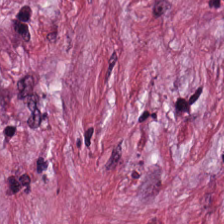Stain: H&E-stained tissue section.
Acquisition: brightfield microscopy.
Classification: tumor-associated stroma.
